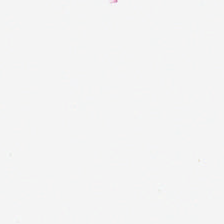H&E-stained tissue section. Formalin-fixed paraffin-embedded section — Q: What is shown here?
A: The field shows no tissue.
